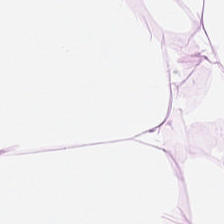H&E-stained tissue section. This patch shows adipose tissue.
